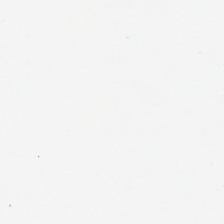H&E-stained tissue section; brightfield.
No tissue present; background only.
